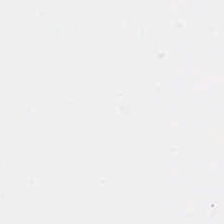FFPE · WSI patch · H&E-stained tissue section — Q: What does this patch show?
A: This is background (no tissue).
